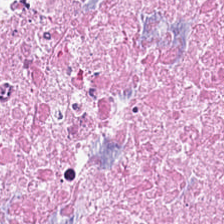H&E-stained tissue section — Predominantly cellular debris.
